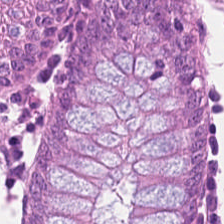Hematoxylin and eosin. 0.5 microns per pixel — Predominantly benign colonic mucosa.
